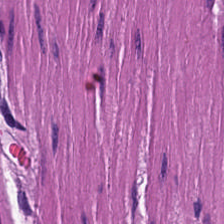H&E stain; 0.5 microns per pixel — Classification = smooth muscle.
